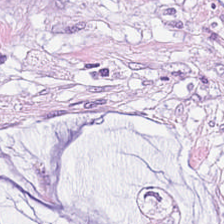Stain: H&E stain.
Tissue: mucus.
